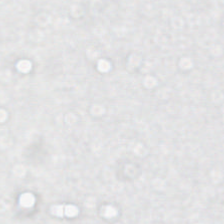20× equivalent magnification; brightfield; hematoxylin-and-eosin stained section. Field content: background.
